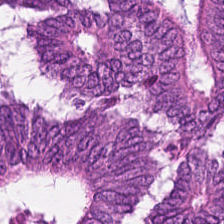Hematoxylin and eosin. Classification: colorectal adenocarcinoma.
